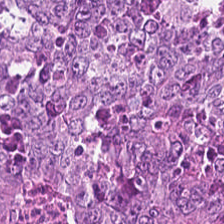Hematoxylin-and-eosin stained section. Predominant tissue — malignant epithelium.
